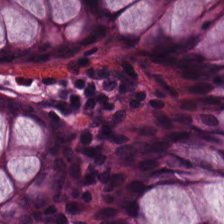224×224 px patch; 20× equivalent magnification; H&E — Q: Classify this patch.
A: It is non-neoplastic colon mucosa.
